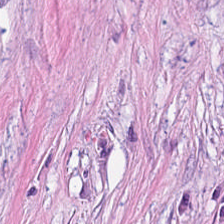Predominantly tumor stroma.
